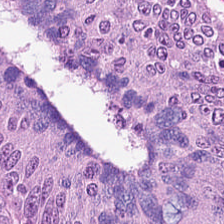FFPE; hematoxylin-and-eosin stained section — Histology — malignant epithelium.
